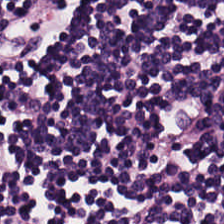H&E — Classification — lymphocyte aggregate.
